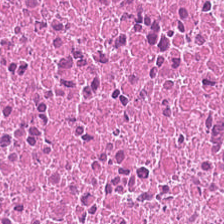Hematoxylin-and-eosin stained section. 224×224 pixel tile. Tissue type = debris.
